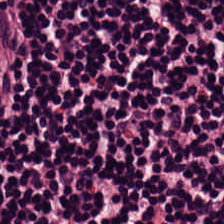H&E-stained tissue section · FFPE tissue section · 224×224 px tile — This field is lymphoid infiltrate.
